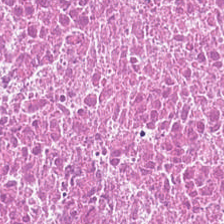0.5 µm/px; hematoxylin-and-eosin stained section.
Q: What is the predominant tissue type?
A: The field shows cellular debris.
